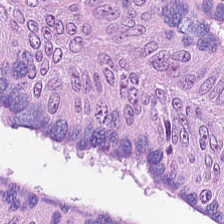This field is colorectal adenocarcinoma.
